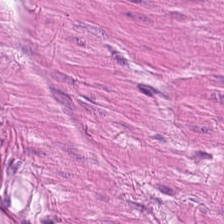224×224 px patch; H&E-stained tissue section; 0.5 µm per pixel.
The tissue is smooth-muscle tissue.
